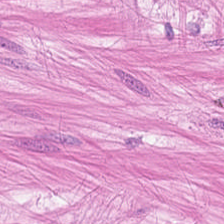Brightfield · H&E — Predominantly muscularis.
